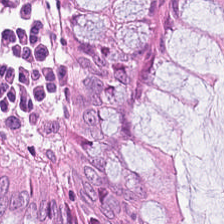H&E-stained tissue section; 224×224 pixel tile — The predominant tissue is non-neoplastic colon mucosa.
